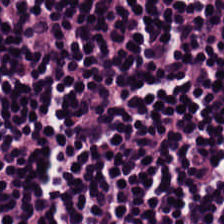Hematoxylin-and-eosin stained section. 224×224 pixel tile.
Lymphocyte aggregate.
